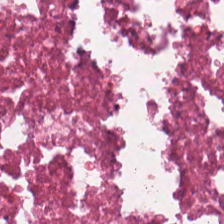Debris.
